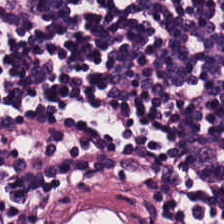H&E — This patch shows lymphocytic infiltrate.
